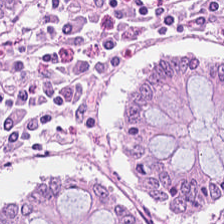H&E stain. Q: Classify this patch.
A: It is normal colon mucosa.
